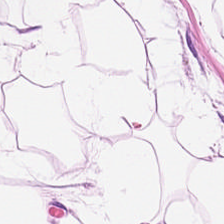Hematoxylin and eosin. This patch shows fat tissue.
